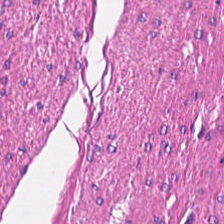H&E stain. Q: What tissue is shown?
A: It is smooth muscle.
